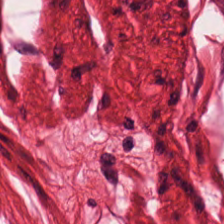Hematoxylin and eosin — Tissue type = muscularis.
